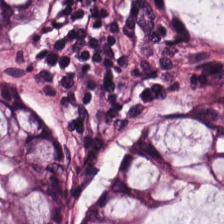H&E-stained tissue section. 224×224 pixel tile. Q: What tissue is shown?
A: It is normal colonic mucosa.
